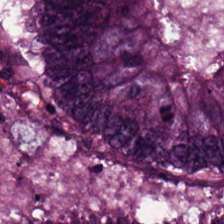H&E-stained tissue section. FFPE — Colorectal adenocarcinoma epithelium.
